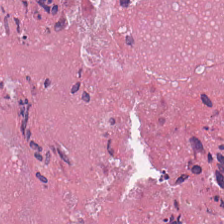H&E-stained tissue section. Q: What is the predominant tissue type?
A: It is debris.
